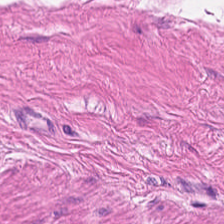20× equivalent magnification. Hematoxylin-and-eosin stained section — This patch shows smooth muscle.
